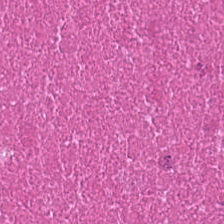Impression — debris.
